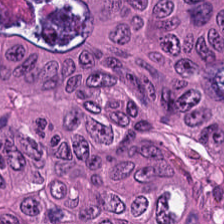WSI patch · hematoxylin and eosin · formalin-fixed paraffin-embedded section. Finding → colorectal adenocarcinoma.
